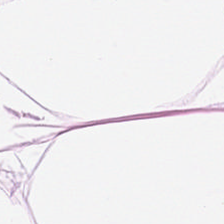FFPE; 20× equivalent magnification; H&E stain. Showing adipose tissue.
